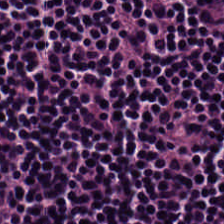H&E-stained tissue section. Showing lymphoid infiltrate.
